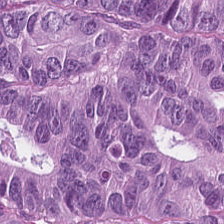H&E.
The predominant tissue is tumor epithelium.
